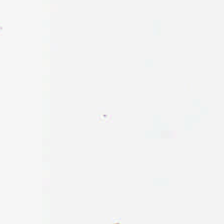Stain: hematoxylin and eosin.
Content: no tissue.
